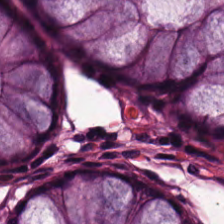H&E stain · 20× equivalent magnification.
The predominant tissue is normal colonic mucosa.
